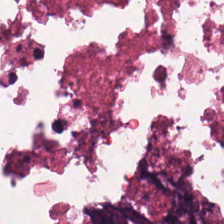H&E-stained tissue section. The tissue here is debris.
